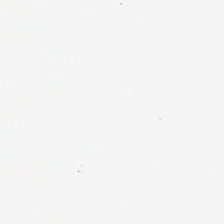Stain: H&E stain.
Acquisition: WSI patch.
Classification: empty background.
